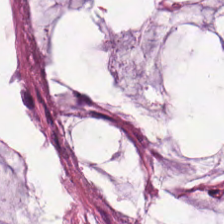Hematoxylin-and-eosin stained section; 20× equivalent magnification; 224×224 px tile — The classification is mucus.
